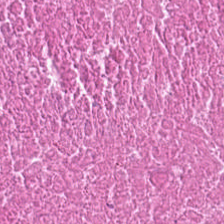H&E stain; FFPE. Histology → debris.
